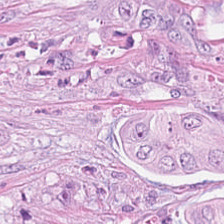Hematoxylin and eosin. 0.5 microns per pixel. Tissue type — colorectal adenocarcinoma epithelium.
